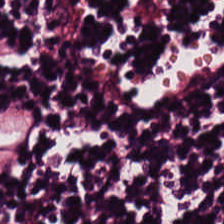H&E · formalin-fixed paraffin-embedded section.
Classification: lymphocytes.
